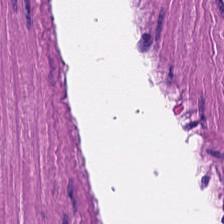Hematoxylin-and-eosin stained section. Formalin-fixed paraffin-embedded section — Predominant tissue — smooth muscle.
